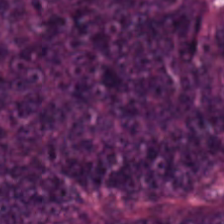H&E.
Impression — colorectal adenocarcinoma.
